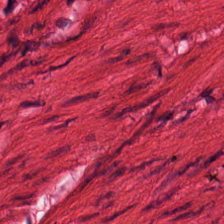Tissue type = smooth muscle.
